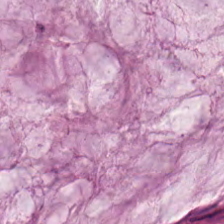Hematoxylin-and-eosin stained section. 0.5 microns per pixel.
This patch shows mucus.
